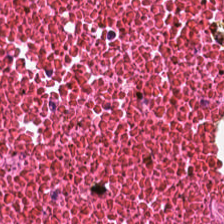Hematoxylin and eosin. The tissue here is debris.
